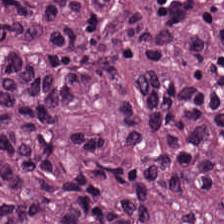Hematoxylin and eosin — This field is tumor epithelium.
